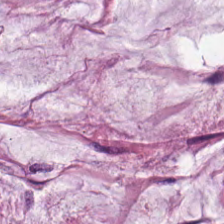H&E-stained tissue section. Q: What is shown here?
A: The field shows mucus.
